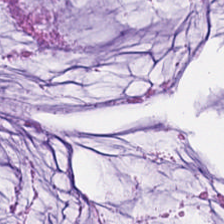Hematoxylin-and-eosin stained section.
The tissue here is mucus.
